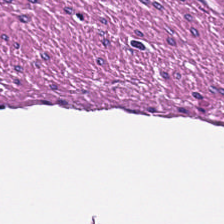Q: What is shown here?
A: The field shows muscularis.
